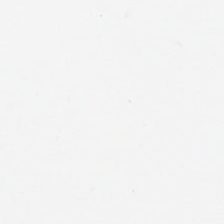H&E-stained tissue section — Q: Classify this patch.
A: The field shows background.
